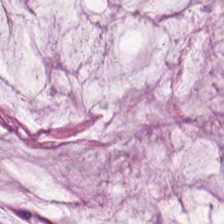H&E stain — Mucin.
